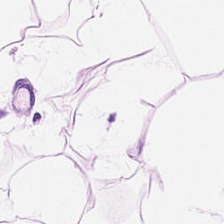Brightfield microscopy; H&E; 224×224 px tile — Showing adipose.
